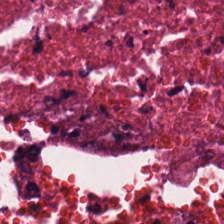Stain: H&E.
Tissue class: cellular debris.
